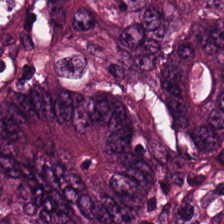Stain: hematoxylin-and-eosin stained section.
Tissue type: malignant epithelium.
